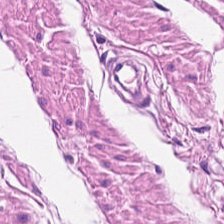Hematoxylin and eosin. This patch shows muscularis.
